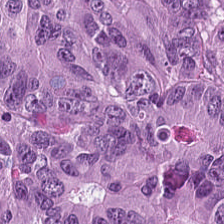Hematoxylin and eosin.
Colorectal adenocarcinoma epithelium.
